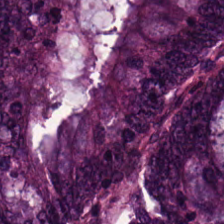H&E stain · brightfield.
Impression → adenocarcinoma.
